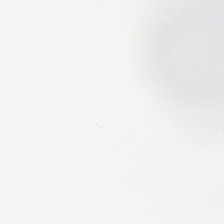No tissue present; background only.
